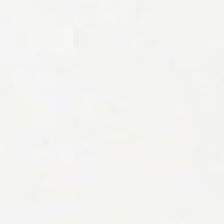H&E stain — Impression — background.
